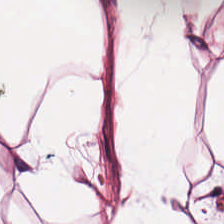Stain: hematoxylin and eosin.
Tissue class: fat tissue.
